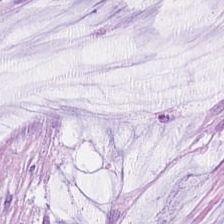H&E-stained section; the field shows extracellular mucin.
